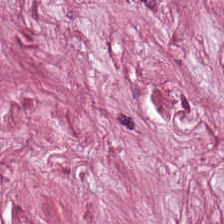WSI patch; 224×224 px patch; H&E. Predominantly tumor stroma.
